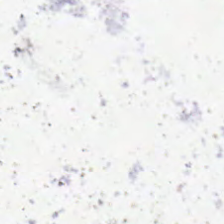Hematoxylin and eosin.
Background — no tissue in this field.
